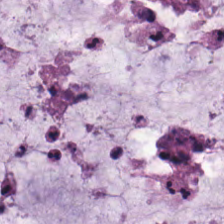Hematoxylin and eosin. Brightfield microscopy.
{"tissue_type": "extracellular mucin"}
